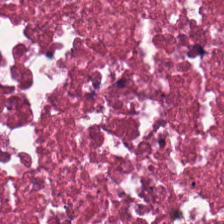H&E-stained tissue section.
Showing necrotic debris.
